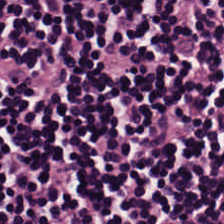Brightfield microscopy; 0.5 microns per pixel; hematoxylin-and-eosin stained section.
This field is lymphoid infiltrate.
